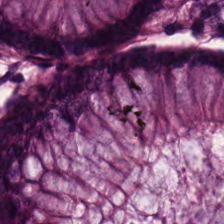This field is benign colonic mucosa.
